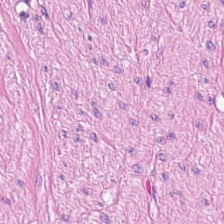Impression → smooth-muscle tissue.
